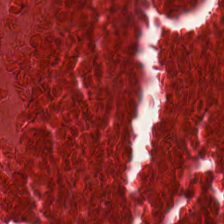Tissue type — cellular debris.
